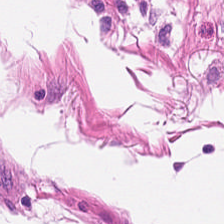Hematoxylin-and-eosin stained section. 224×224 pixel tile. This field is muscularis.
